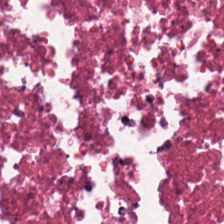20× equivalent magnification · H&E-stained tissue section. Tissue class = necrotic debris.
